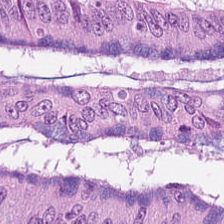Brightfield; 224×224 pixel tile; H&E. Classification: malignant epithelium.
